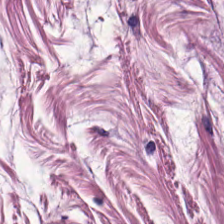H&E.
Smooth muscle.
